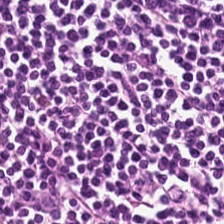H&E stain; 0.5 microns per pixel — The predominant tissue is lymphocyte aggregate.
